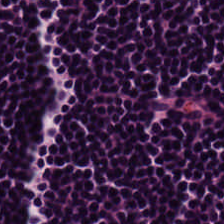H&E.
{"tissue_type": "lymphocyte aggregate"}
